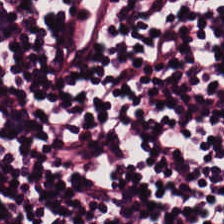H&E-stained tissue section.
This field is lymphocytic infiltrate.
